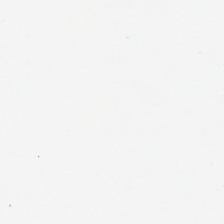H&E stain. The classification is no tissue.
